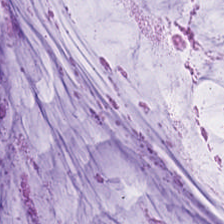WSI patch · hematoxylin-and-eosin stained section — Showing extracellular mucin.
